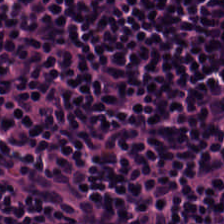H&E-stained tissue section showing lymphocytes.
